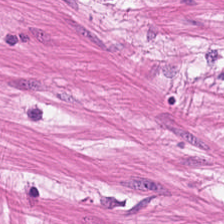H&E stain · 0.5 µm per pixel. Q: What does this patch show?
A: This is smooth-muscle tissue.
